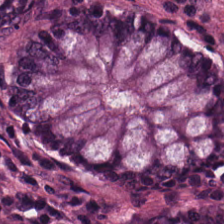Q: Identify the tissue.
A: The field shows benign colonic mucosa.
